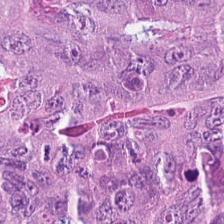The tissue is malignant epithelium.
